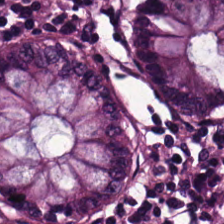H&E-stained tissue section · 0.5 µm per pixel · WSI patch — Impression — non-neoplastic colon mucosa.
